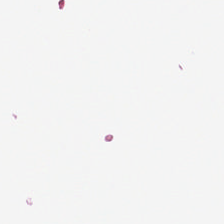H&E-stained tissue section.
Content = background.
